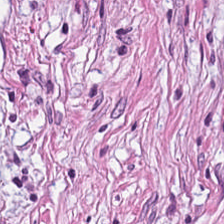H&E stain. Q: What is the predominant tissue type?
A: This is desmoplastic stroma.
